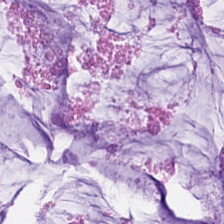0.5 µm/px · H&E-stained tissue section. This field is extracellular mucin.
